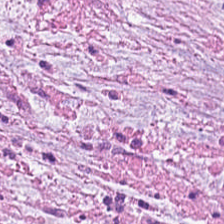20× equivalent magnification · brightfield · H&E-stained tissue section. The tissue is desmoplastic stroma.
